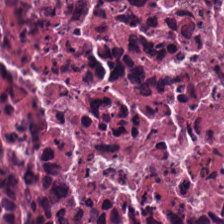Hematoxylin and eosin.
Tissue: necrotic debris.
